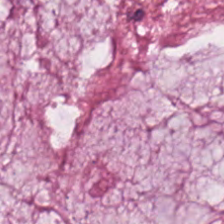FFPE tissue section; 224×224 px patch; hematoxylin-and-eosin stained section. The tissue is extracellular mucin.
